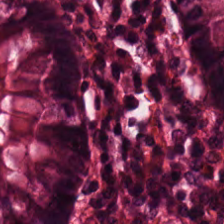{"tissue_type": "normal colonic mucosa"}
